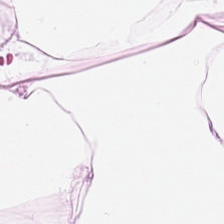Stain: H&E-stained tissue section.
Preparation: FFPE tissue section.
Tile size: 224×224 px patch.
Tissue type: adipose tissue.
